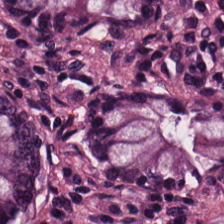Stain: H&E-stained tissue section.
Preparation: formalin-fixed paraffin-embedded section.
Tissue class: normal colonic mucosa.
